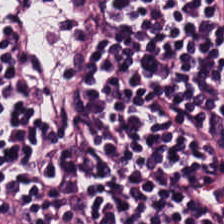Classification = lymphocytic infiltrate.
